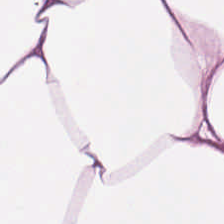Hematoxylin-and-eosin stained section.
Showing fat tissue.
